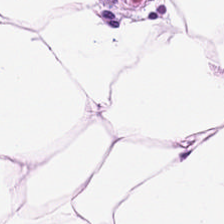H&E. This field is fat tissue.
